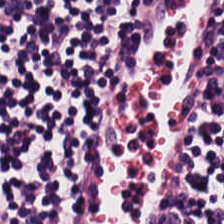H&E — This patch shows lymphoid infiltrate.
